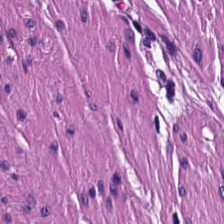H&E — This field is smooth-muscle tissue.
